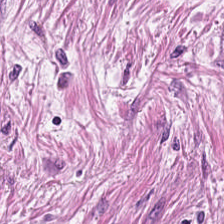H&E. Q: What tissue type is shown here?
A: The field shows desmoplastic stroma.
